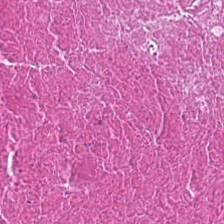H&E-stained tissue section; 0.5 µm/px.
Classification — debris.
